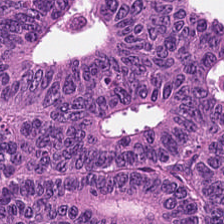Hematoxylin-and-eosin stained section.
Finding → adenocarcinoma.
